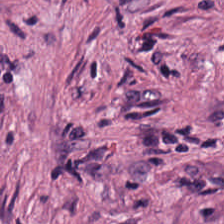20× equivalent magnification · hematoxylin and eosin — Q: What tissue type is shown here?
A: This is tumor-associated stroma.
